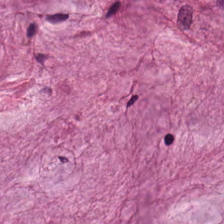H&E; 224×224 px patch; FFPE. Impression → extracellular mucin.
